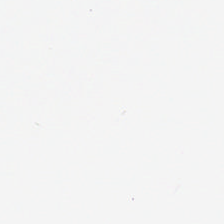Hematoxylin and eosin. Whole-slide-image patch.
Content: empty background.
